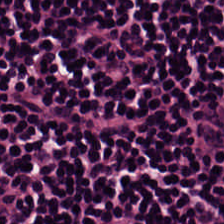H&E — {"tissue_type": "lymphoid infiltrate"}
